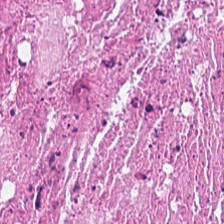WSI patch. 224×224 px patch. H&E.
Tissue class: cellular debris.
